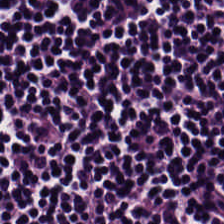The tissue here is lymphocytic infiltrate.
